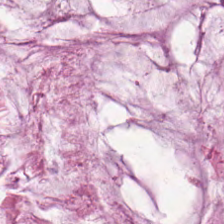H&E stain.
The tissue here is extracellular mucin.
